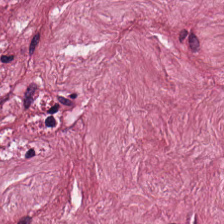H&E. Whole-slide-image patch. The classification is desmoplastic stroma.
